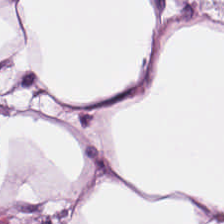Hematoxylin-and-eosin section: adipose tissue.
